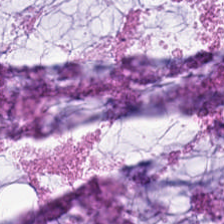Hematoxylin and eosin. 0.5 µm per pixel. The predominant tissue is mucus.
